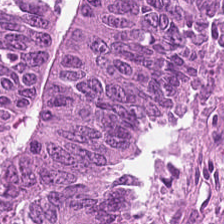H&E-stained tissue section showing colorectal adenocarcinoma.
